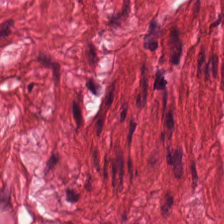{"tissue_type": "smooth-muscle tissue"}
